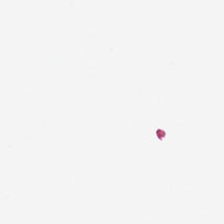Hematoxylin-and-eosin stained section. Q: Classify this patch.
A: This is no tissue.
